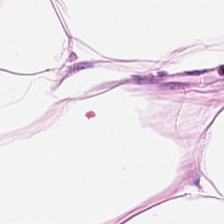Hematoxylin-and-eosin stained section. Q: What is shown here?
A: This is adipocytes.
